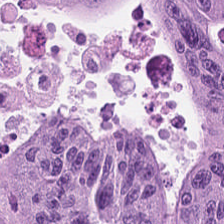H&E stain — Adenocarcinoma.
